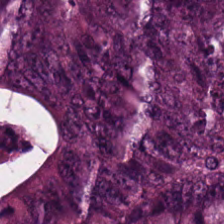Hematoxylin and eosin. Tissue class = adenocarcinoma.
